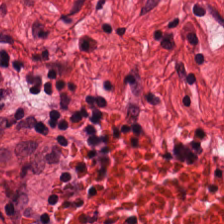Hematoxylin and eosin. This field is smooth-muscle tissue.
